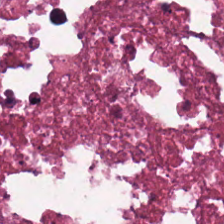Hematoxylin and eosin. The predominant tissue is cellular debris.
